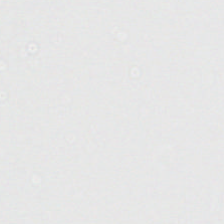Stain: H&E stain.
Field content: no tissue.
